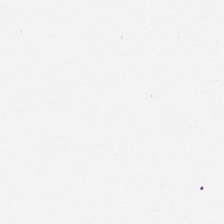224×224 px patch. Hematoxylin and eosin. FFPE. Field content = no tissue.
